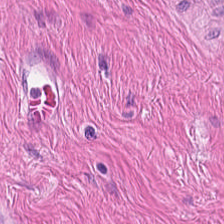Histology — muscularis.
